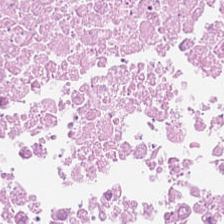Hematoxylin and eosin — Finding → cellular debris.
